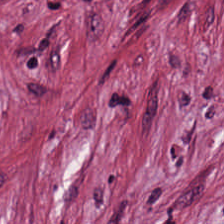Hematoxylin-and-eosin stained section. Predominantly desmoplastic stroma.
